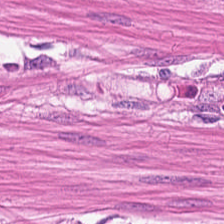The tissue here is smooth muscle.
